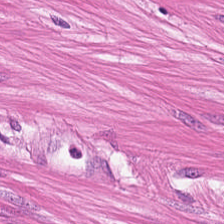224×224 px tile. Hematoxylin-and-eosin stained section. The tissue is smooth muscle.
